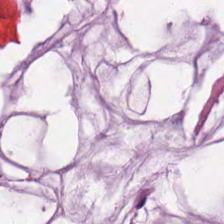0.5 µm/px · hematoxylin-and-eosin stained section — This field is mucus.
